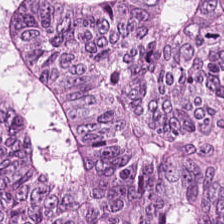The tissue here is colorectal adenocarcinoma.
